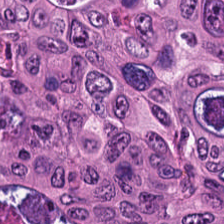H&E-stained tissue section; 224×224 px patch; formalin-fixed paraffin-embedded section. This field is tumor epithelium.
